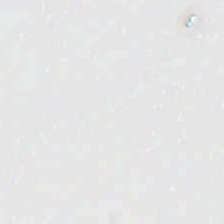H&E-stained tissue section. This field is background (no tissue).
